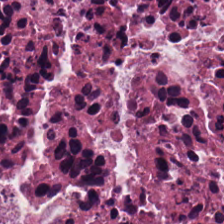H&E-stained tissue section — Predominantly necrotic debris.
